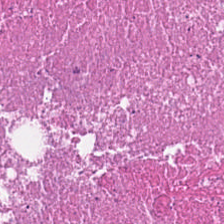0.5 microns per pixel. Hematoxylin and eosin.
Tissue class: cellular debris.
